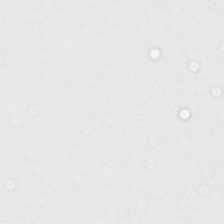Hematoxylin-and-eosin stained section · 20× equivalent magnification. Classification — background.
